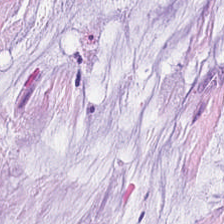Hematoxylin and eosin; 224×224 pixel tile — Predominant tissue — mucin.
